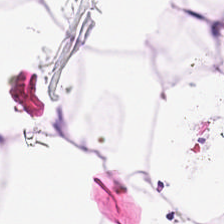Predominant tissue: adipocytes.
